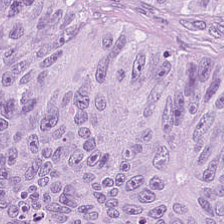The tissue here is tumor epithelium.
